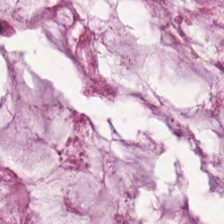Stain: H&E stain.
Acquisition: WSI patch.
Preparation: FFPE.
Tissue: extracellular mucin.
